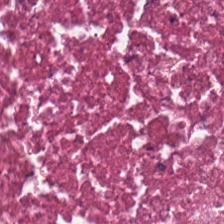Stain: H&E.
Classification: cellular debris.
